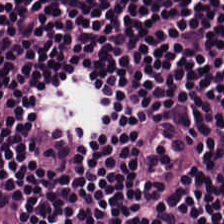Predominantly lymphocytic infiltrate.
